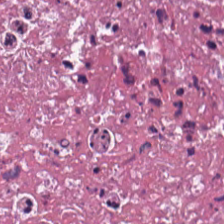{"tissue_type": "debris"}
